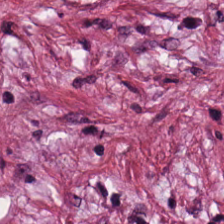H&E — tumor-associated stroma.
